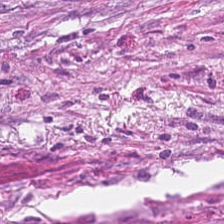Hematoxylin-and-eosin stained section; formalin-fixed paraffin-embedded section.
The tissue type is desmoplastic stroma.
